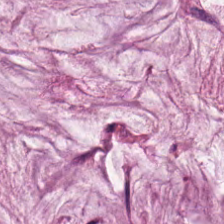Predominantly mucin.
